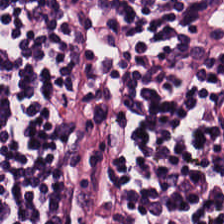Stain: hematoxylin and eosin.
Tissue type: lymphoid infiltrate.
